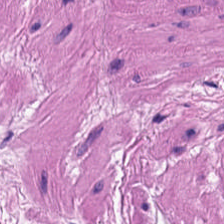Hematoxylin and eosin. 224×224 pixel tile. Brightfield.
{"tissue_type": "smooth-muscle tissue"}
